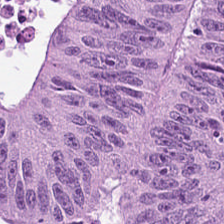Brightfield microscopy · H&E. Impression → colorectal adenocarcinoma epithelium.
